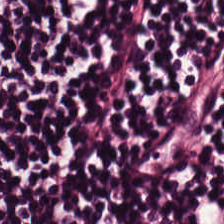Hematoxylin-and-eosin stained section. The tissue here is lymphocytes.
